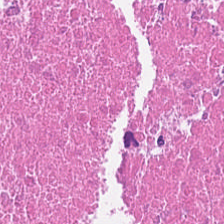Classification = necrotic debris.
